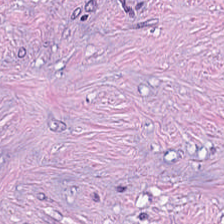Hematoxylin-and-eosin stained section.
This field is debris.
